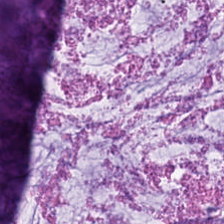Stain: H&E stain.
Tile size: 224×224 px patch.
Tissue class: mucus.
